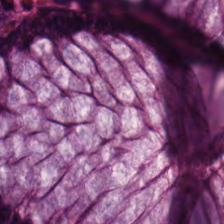Hematoxylin-and-eosin stained section · 224×224 pixel tile · 20× equivalent magnification — Histology → benign colonic mucosa.
